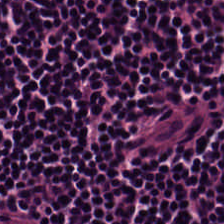H&E stain. Showing lymphoid infiltrate.
